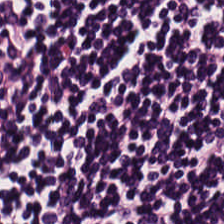H&E.
Showing lymphocytes.
